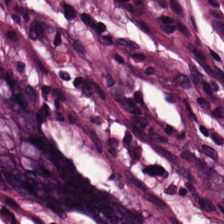H&E-stained tissue section — Predominantly normal colonic mucosa.
